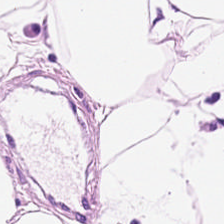Stain: H&E-stained tissue section.
Tile size: 224×224 px tile.
Tissue class: adipose.
